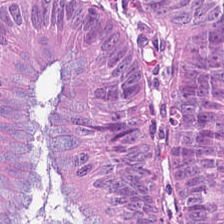Whole-slide-image patch. Hematoxylin and eosin — The tissue class is colorectal adenocarcinoma.
